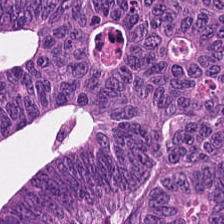H&E-stained tissue section. This field is colorectal adenocarcinoma epithelium.
